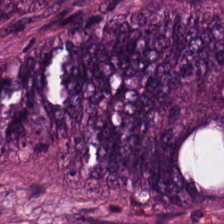Brightfield microscopy · H&E.
Predominantly adenocarcinoma.
